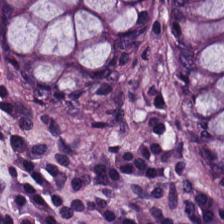The predominant tissue is normal colonic mucosa.
